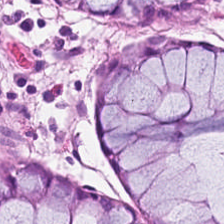Hematoxylin-and-eosin stained section.
This patch shows non-neoplastic colon mucosa.
